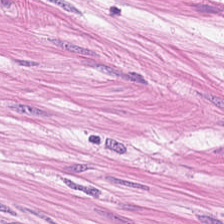H&E-stained tissue section — The tissue here is smooth muscle.
